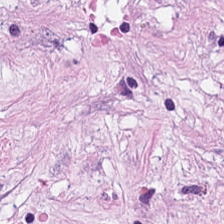20× equivalent magnification; H&E-stained tissue section; 224×224 px patch — The predominant tissue is desmoplastic stroma.
